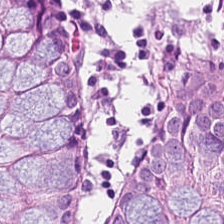H&E stain.
This patch shows benign colonic mucosa.
